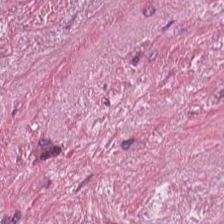Hematoxylin and eosin. {"tissue_type": "desmoplastic stroma"}
